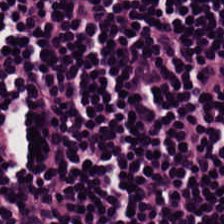H&E — Classification: lymphocytic infiltrate.
